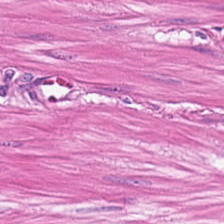Showing muscularis.
